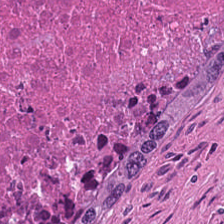Hematoxylin-and-eosin section: cellular debris.
